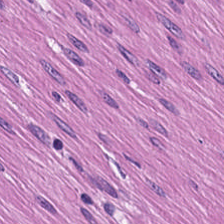H&E stain. 20× equivalent magnification.
Q: Classify this patch.
A: It is smooth-muscle tissue.
